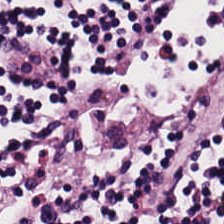H&E-stained section; the field shows lymphoid infiltrate.
